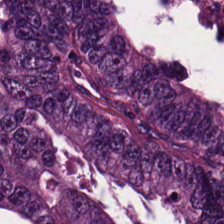H&E-stained tissue section.
The predominant tissue is colorectal adenocarcinoma.
